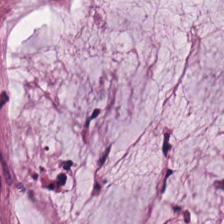The tissue here is mucus.
